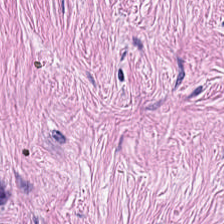Brightfield microscopy; H&E; FFPE tissue section — Impression → tumor-associated stroma.
